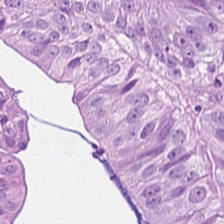Hematoxylin-and-eosin stained section; 0.5 µm per pixel. The tissue class is colorectal adenocarcinoma epithelium.
